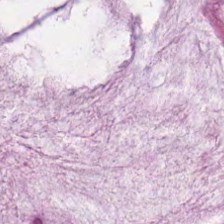Stain: H&E stain.
Tile size: 224×224 pixel tile.
Tissue type: mucin.
